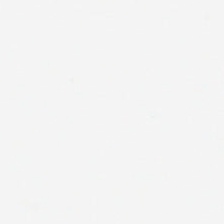H&E stain. Empty field — background (no tissue).
